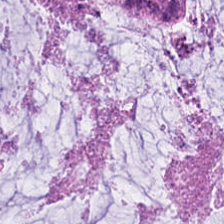Stain: H&E.
Resolution: 0.5 µm per pixel.
Tile size: 224×224 px patch.
Tissue: extracellular mucin.
